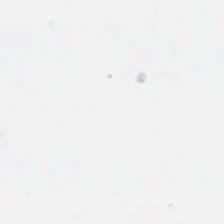Histology — background.
